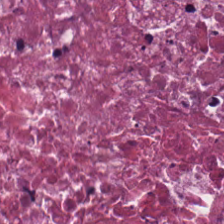Debris.
